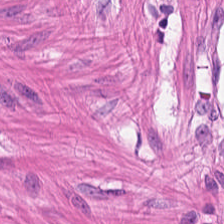H&E-stained section; the field shows muscularis.
